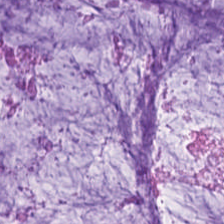This field is extracellular mucin.
